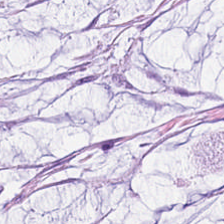Whole-slide-image patch; hematoxylin-and-eosin stained section. Extracellular mucin.
